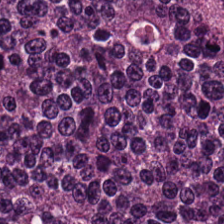H&E · whole-slide-image patch · 0.5 microns per pixel.
Impression → adenocarcinoma.
